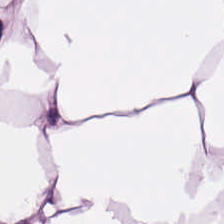H&E stain; WSI patch. This field is adipose.
